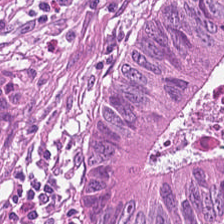H&E-stained tissue section. Showing adenocarcinoma.
